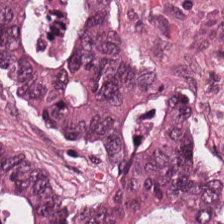Hematoxylin and eosin — Q: What is the predominant tissue type?
A: The field shows adenocarcinoma.
